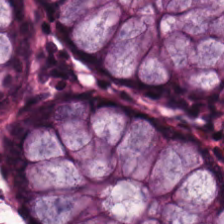FFPE. H&E stain. 0.5 µm per pixel.
This patch shows non-neoplastic colon mucosa.
